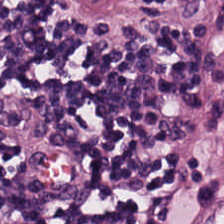FFPE tissue section · hematoxylin and eosin. The tissue here is lymphocytic infiltrate.
